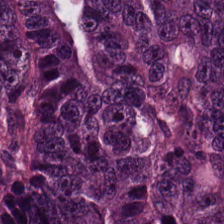Hematoxylin and eosin. Q: What is the predominant tissue type?
A: The field shows adenocarcinoma.
